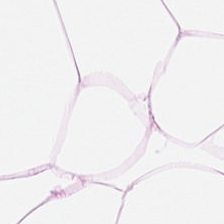Hematoxylin and eosin — Predominantly adipose tissue.
